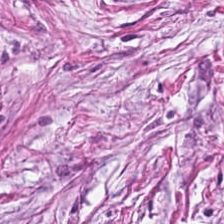Stain: H&E.
Predominant tissue: tumor stroma.
